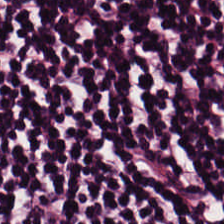FFPE tissue section. 224×224 px tile. H&E stain.
{"tissue_type": "lymphocytic infiltrate"}
